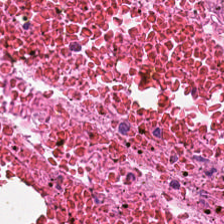224×224 px patch; hematoxylin-and-eosin stained section; FFPE tissue section — Tissue class — cellular debris.
